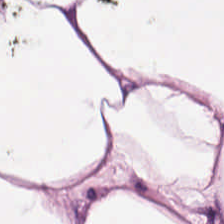224×224 px patch · H&E · brightfield.
The predominant tissue is adipose tissue.
